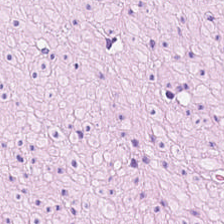H&E stain · brightfield.
Q: Identify the tissue.
A: It is muscularis.
